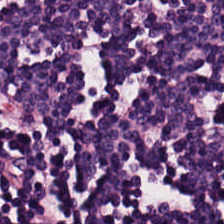The tissue class is lymphoid infiltrate.
